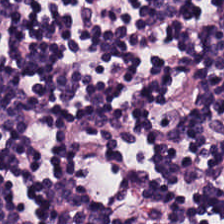This field is lymphocyte aggregate.
